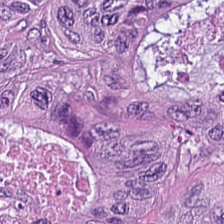Hematoxylin and eosin; 0.5 µm/px; 224×224 px tile — Predominantly malignant epithelium.
